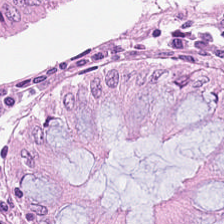H&E. Predominantly benign colonic mucosa.
